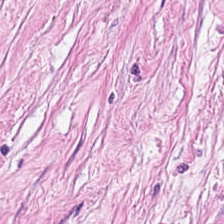Formalin-fixed paraffin-embedded section; 0.5 µm per pixel; H&E stain — Q: What tissue is shown?
A: This is tumor stroma.
